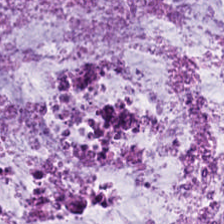224×224 px tile; whole-slide-image patch; hematoxylin-and-eosin stained section — Predominant tissue — mucin.
